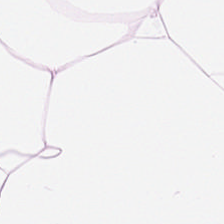H&E. FFPE tissue section — Predominant tissue — fat tissue.
